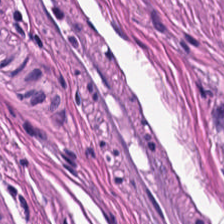H&E-stained tissue section — This field is smooth muscle.
